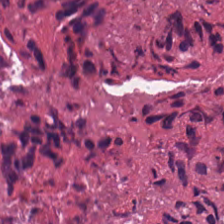The tissue here is debris.
